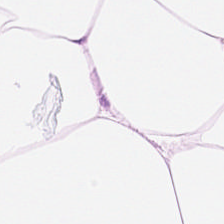H&E.
Q: What does this patch show?
A: The field shows adipose tissue.
